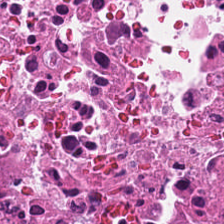Whole-slide-image patch. FFPE. H&E-stained tissue section — This field is debris.
